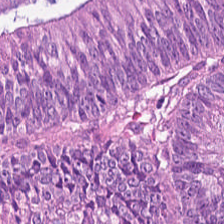Brightfield microscopy. H&E-stained tissue section. Predominantly colorectal adenocarcinoma.
